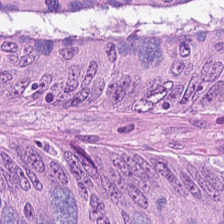H&E stain. Q: Classify this patch.
A: This is adenocarcinoma.
